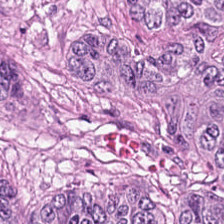WSI patch. Hematoxylin-and-eosin stained section.
Tissue type: colorectal adenocarcinoma epithelium.
